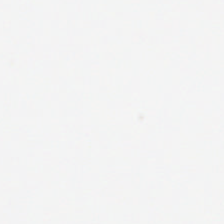Hematoxylin-and-eosin stained section. Whole-slide-image patch. 20× equivalent magnification. Impression — empty background.
